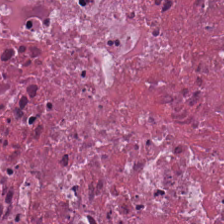Showing cellular debris.
